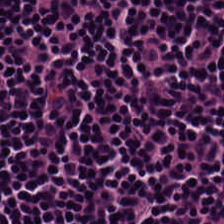Stain: hematoxylin and eosin.
Tile size: 224×224 px tile.
Tissue: lymphocytes.
